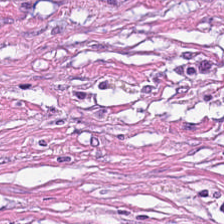H&E stain — Q: What is shown here?
A: This is cancer-associated stroma.
